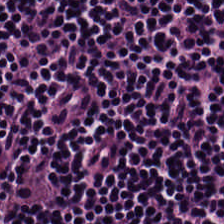The predominant tissue is lymphocytic infiltrate.
